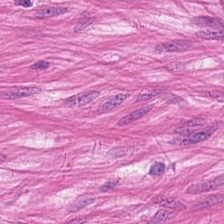H&E-stained tissue section.
Showing smooth-muscle tissue.
